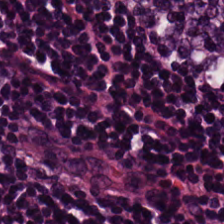Hematoxylin-and-eosin stained section. Q: Classify this patch.
A: Lymphocytes.
